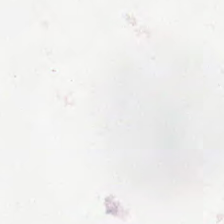Background — no tissue in this field.
